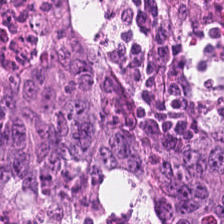Brightfield. H&E-stained tissue section.
Q: What is the predominant tissue type?
A: Adenocarcinoma.
